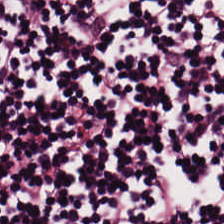H&E stain · brightfield microscopy · formalin-fixed paraffin-embedded section. Q: Identify the tissue.
A: This is lymphocytes.
